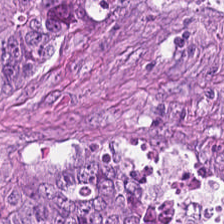H&E-stained tissue section.
{"tissue_type": "colorectal adenocarcinoma"}
